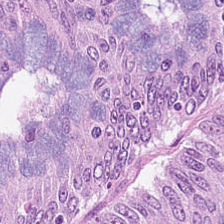Stain: hematoxylin and eosin.
Tissue class: malignant epithelium.
